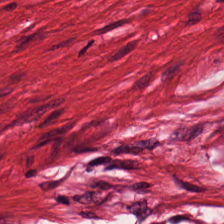224×224 pixel tile. H&E-stained tissue section. 20× equivalent magnification.
This field is muscularis.
